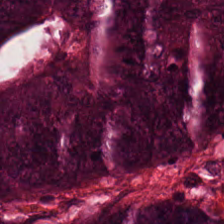H&E-stained tissue section. Q: Identify the tissue.
A: It is malignant epithelium.
